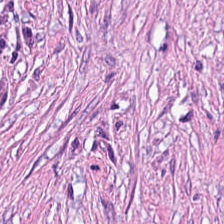Stain: H&E.
Tissue: tumor stroma.
